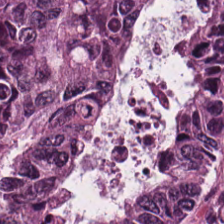Hematoxylin and eosin — This field is colorectal adenocarcinoma.
